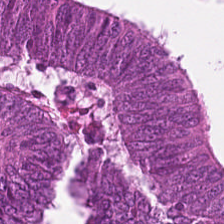Hematoxylin and eosin — The tissue type is adenocarcinoma.
